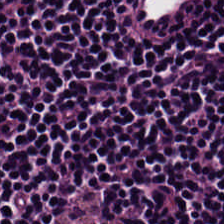H&E.
Tissue type — lymphoid infiltrate.
